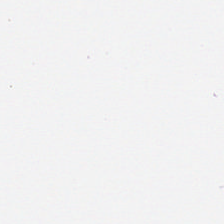0.5 µm per pixel · hematoxylin-and-eosin stained section — Empty field — no tissue.
